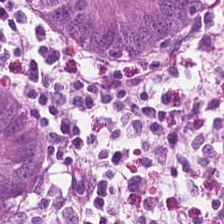Stain: hematoxylin and eosin.
Tissue type: normal colonic mucosa.
